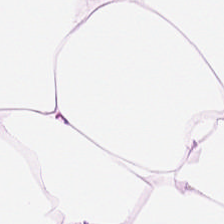H&E. WSI patch.
The predominant tissue is adipocytes.
